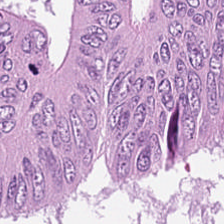H&E. This patch shows malignant epithelium.
